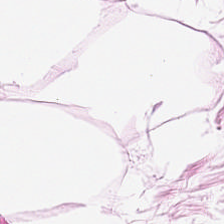This field is fat tissue.
